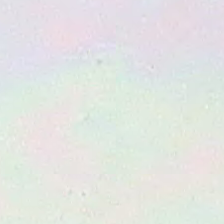Formalin-fixed paraffin-embedded section; H&E stain; 20× equivalent magnification. Content: no tissue.
